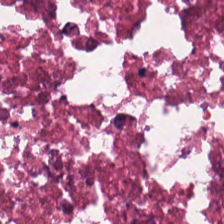FFPE. Hematoxylin and eosin. 0.5 microns per pixel — Q: What is shown here?
A: The field shows cellular debris.
